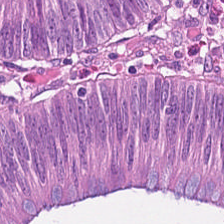Brightfield. H&E-stained tissue section. 224×224 pixel tile. Q: What tissue type is shown here?
A: The field shows adenocarcinoma.
